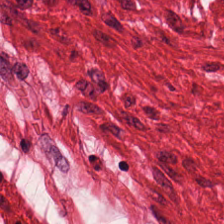Hematoxylin-and-eosin stained section.
{"tissue_type": "muscularis"}
